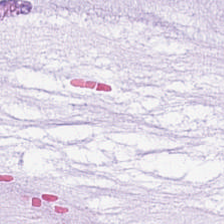Stain: hematoxylin and eosin.
Tissue class: mucus.
